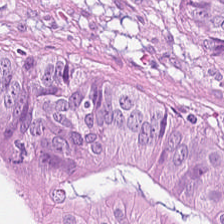Hematoxylin and eosin; 224×224 pixel tile — {"tissue_type": "malignant epithelium"}
